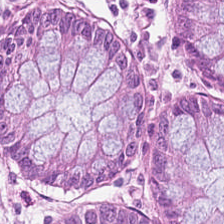Hematoxylin and eosin.
This patch shows normal colonic mucosa.
